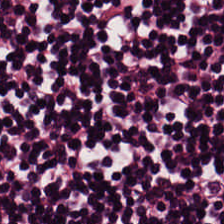WSI patch · H&E stain · 0.5 microns per pixel — Histology → lymphocytes.
